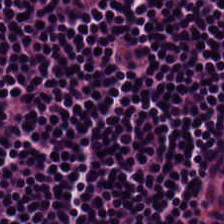H&E stain. 224×224 px patch. Whole-slide-image patch. Showing lymphocyte aggregate.
